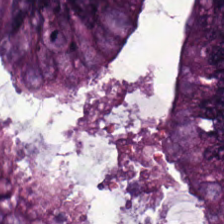Stain: hematoxylin and eosin.
Tissue type: colorectal adenocarcinoma.
